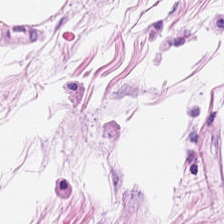H&E; formalin-fixed paraffin-embedded section. Tissue: adipocytes.
